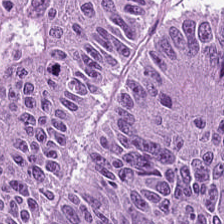0.5 µm per pixel; hematoxylin and eosin.
The predominant tissue is tumor epithelium.
